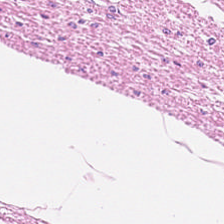0.5 µm per pixel; hematoxylin and eosin; brightfield — Showing muscularis.
